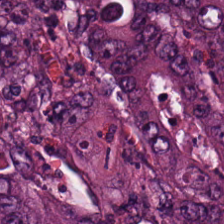Hematoxylin and eosin; WSI patch; formalin-fixed paraffin-embedded section.
This patch shows colorectal adenocarcinoma epithelium.
